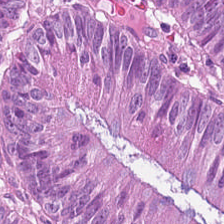Hematoxylin-and-eosin section: tumor epithelium.
